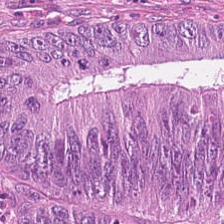H&E-stained tissue section · WSI patch.
Predominant tissue = colorectal adenocarcinoma epithelium.
